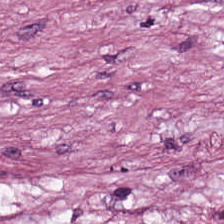H&E — Predominant tissue = tumor stroma.
